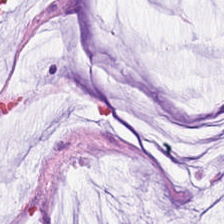FFPE tissue section. H&E-stained tissue section. Tissue — mucus.
